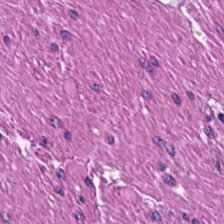WSI patch. H&E. 224×224 px tile — This patch shows smooth-muscle tissue.
